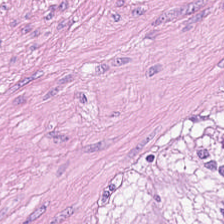H&E-stained tissue section.
Tissue = muscularis.
